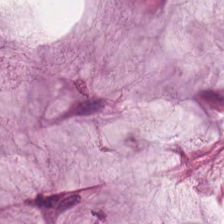Stain: H&E-stained tissue section.
Preparation: FFPE tissue section.
Tissue class: extracellular mucin.
